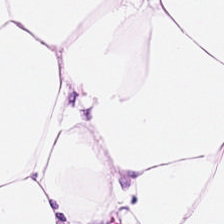{"tissue_type": "adipose"}
